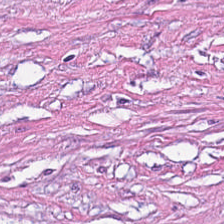Q: What tissue type is shown here?
A: Tumor-associated stroma.
